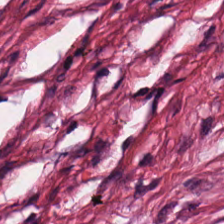H&E-stained tissue section; 224×224 pixel tile.
Impression → desmoplastic stroma.
